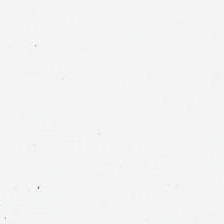Stain: hematoxylin-and-eosin stained section.
Field content: background (no tissue).
